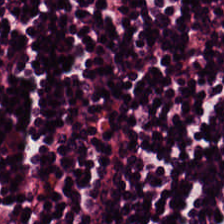Hematoxylin and eosin.
Classification = lymphoid infiltrate.
